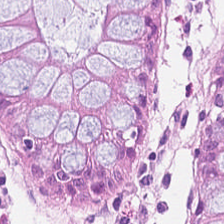H&E.
Showing non-neoplastic colon mucosa.
